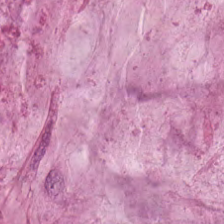Hematoxylin-and-eosin stained section · 224×224 px patch — The tissue here is mucin.
